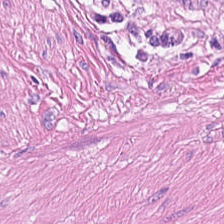Impression — smooth muscle.
